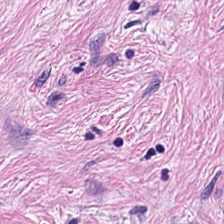Impression — cancer-associated stroma.
